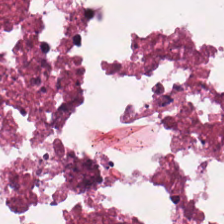H&E stain. Predominantly necrotic debris.
